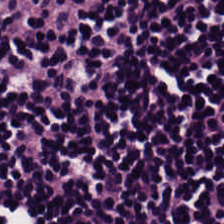H&E-stained tissue section. The predominant tissue is lymphocytic infiltrate.
